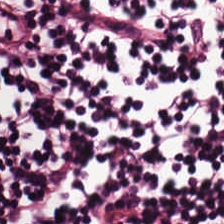224×224 px patch · H&E stain · FFPE tissue section.
The tissue class is lymphocytic infiltrate.
